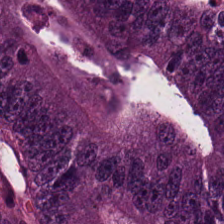FFPE. H&E stain.
Q: What is shown here?
A: It is adenocarcinoma.
